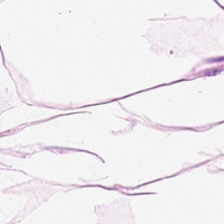Hematoxylin-and-eosin stained section · 0.5 µm/px.
Finding — adipose tissue.
